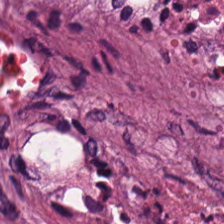224×224 pixel tile. H&E stain. Tissue class: necrotic debris.
